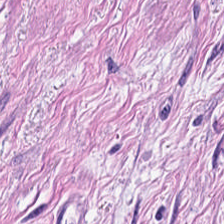WSI patch. H&E stain. 224×224 px patch — The predominant tissue is muscularis.
